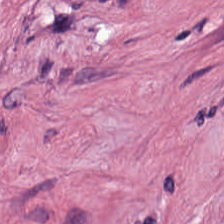Hematoxylin and eosin — The tissue is tumor stroma.
